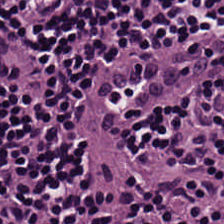H&E. 224×224 px tile. WSI patch. This field is lymphocytic infiltrate.
